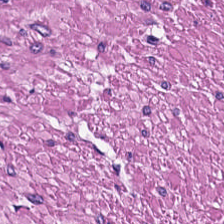Hematoxylin-and-eosin stained section.
Finding — smooth muscle.
